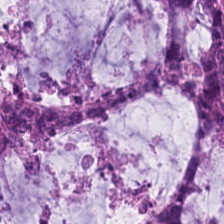224×224 pixel tile; 0.5 µm per pixel; H&E-stained tissue section. Mucin.
